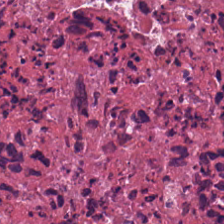Hematoxylin-and-eosin stained section · 224×224 px patch. The predominant tissue is necrotic debris.
